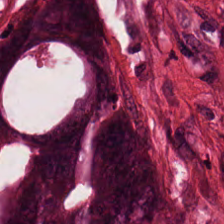H&E. Classification: tumor epithelium.
